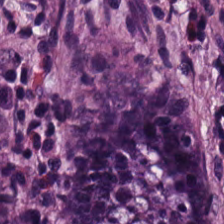Q: Classify this patch.
A: Normal colonic mucosa.
